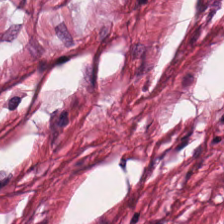Hematoxylin-and-eosin stained section. The tissue here is tumor stroma.
